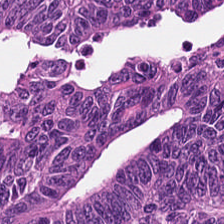Tissue type — malignant epithelium.
